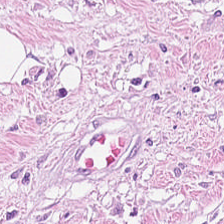H&E stain. Predominant tissue — tumor stroma.
